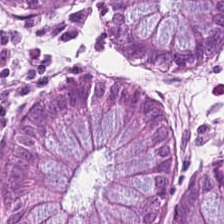Stain: H&E-stained tissue section.
Resolution: 20× equivalent magnification.
Predominant tissue: benign colonic mucosa.
